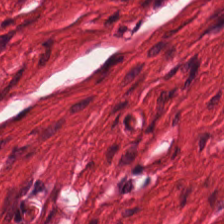Predominant tissue — muscularis.
